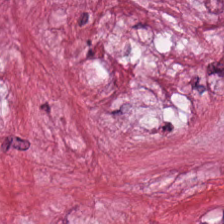0.5 µm/px · H&E stain. {"tissue_type": "tumor stroma"}
